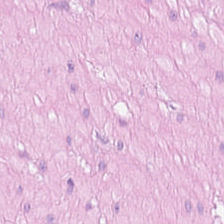Hematoxylin and eosin — The predominant tissue is muscularis.
